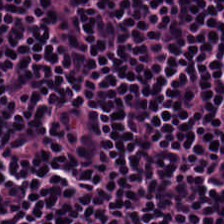Finding → lymphocyte aggregate.
